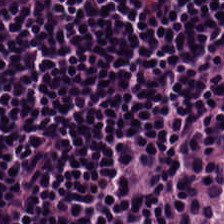H&E stain.
Predominant tissue: lymphocytic infiltrate.
